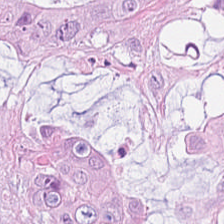Whole-slide-image patch; H&E stain — Finding — tumor epithelium.
